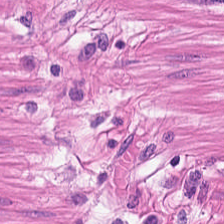Hematoxylin and eosin.
The predominant tissue is smooth-muscle tissue.
